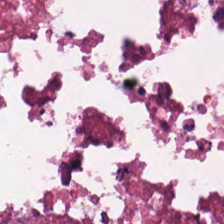Stain: hematoxylin-and-eosin stained section.
Tissue type: cellular debris.
